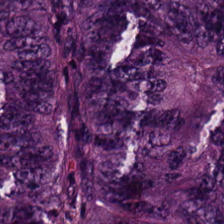Hematoxylin-and-eosin stained section. This field is colorectal adenocarcinoma.
